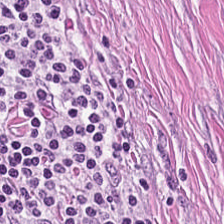0.5 µm/px; 224×224 pixel tile; hematoxylin and eosin — {"tissue_type": "cancer-associated stroma"}
